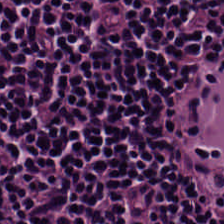Stain: hematoxylin-and-eosin stained section.
Resolution: 0.5 µm per pixel.
Tissue type: lymphocyte aggregate.
